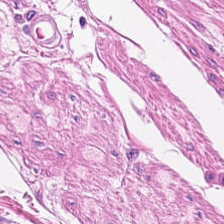Brightfield microscopy. H&E — The tissue here is smooth muscle.
